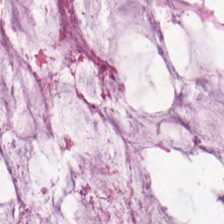0.5 microns per pixel. Hematoxylin and eosin — {"tissue_type": "mucin"}
